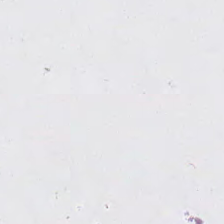Stain: H&E.
Preparation: FFPE tissue section.
Acquisition: brightfield.
Field content: empty background.
